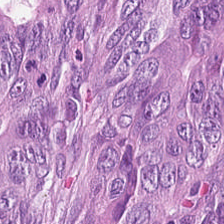This field is tumor epithelium.
